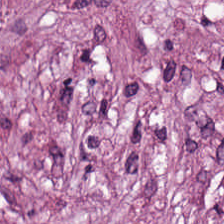Tissue class — tumor stroma.
